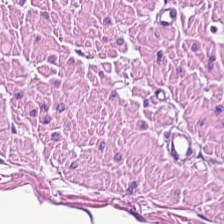224×224 px tile; 0.5 µm/px; hematoxylin-and-eosin stained section. Histology → smooth muscle.
